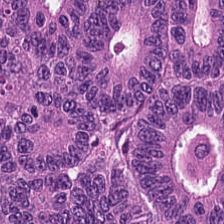Stain: H&E stain.
Preparation: FFPE.
Classification: colorectal adenocarcinoma.
